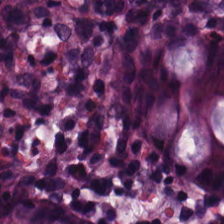Q: What tissue is shown?
A: The field shows benign colonic mucosa.
